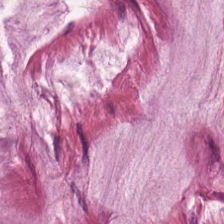H&E; 0.5 µm/px.
{"tissue_type": "mucus"}
